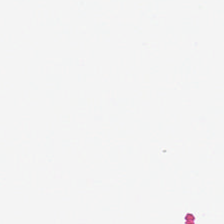Content = no tissue.
